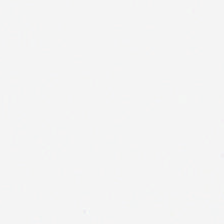FFPE tissue section. H&E stain — Empty field — background (no tissue).
